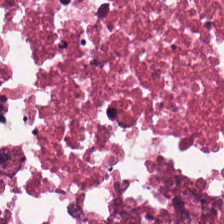H&E.
Histology → cellular debris.
